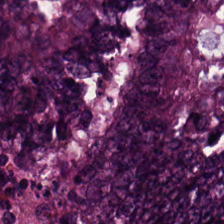FFPE tissue section. H&E stain. 20× equivalent magnification.
The predominant tissue is colorectal adenocarcinoma epithelium.
